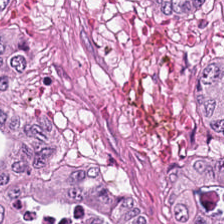Hematoxylin-and-eosin stained section; 224×224 px tile.
Predominantly tumor epithelium.
